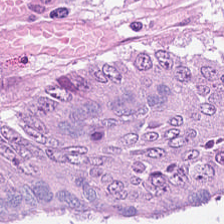Hematoxylin-and-eosin stained section. Adenocarcinoma.
